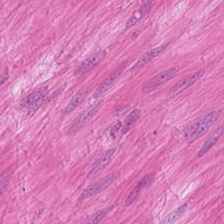H&E stain.
Finding → muscularis.
